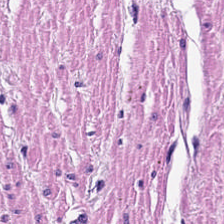Hematoxylin and eosin. Histology — muscularis.
